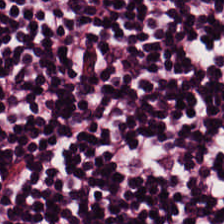Q: What tissue is shown?
A: This is lymphocytic infiltrate.
